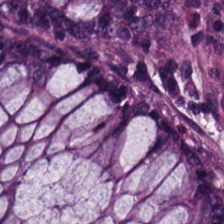Brightfield microscopy · hematoxylin and eosin · 0.5 µm/px. The classification is normal colonic mucosa.
